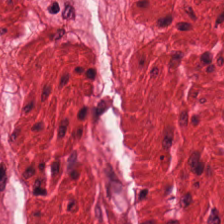H&E — smooth-muscle tissue.
